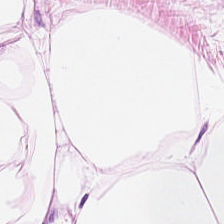Brightfield · H&E-stained tissue section. This patch shows adipocytes.
